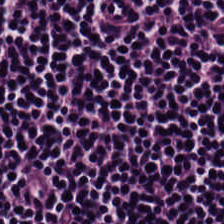H&E stain; FFPE; 224×224 pixel tile — This patch shows lymphoid infiltrate.
